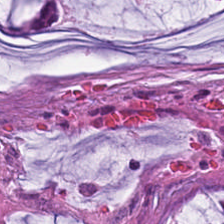224×224 pixel tile · H&E-stained tissue section.
Finding → mucus.
